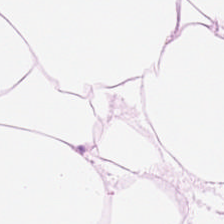Q: Identify the tissue.
A: Adipose.
